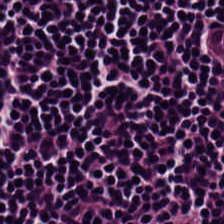Finding — lymphocytic infiltrate.
